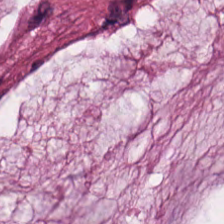Stain: hematoxylin-and-eosin stained section.
Tile size: 224×224 px patch.
Tissue class: extracellular mucin.
